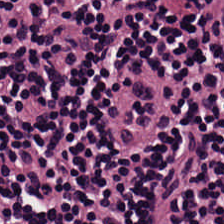Hematoxylin and eosin. Predominant tissue = lymphocytic infiltrate.
